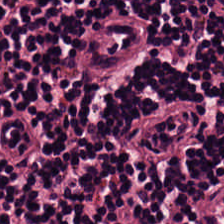FFPE tissue section. Hematoxylin-and-eosin stained section.
The predominant tissue is lymphocytes.
